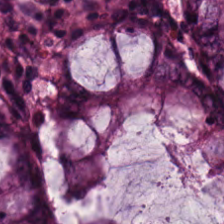H&E; 224×224 px tile.
{"tissue_type": "normal colon mucosa"}
